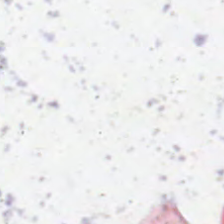No tissue present; background only.
